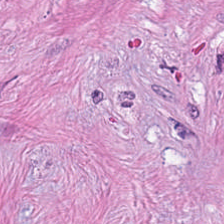The tissue class is tumor stroma.
